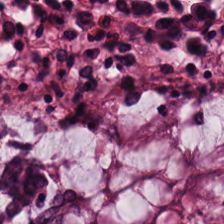20× equivalent magnification. Whole-slide-image patch. H&E.
Showing normal colonic mucosa.
